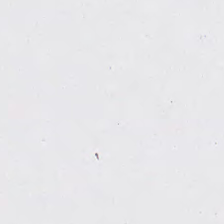H&E stain.
Finding → background.
